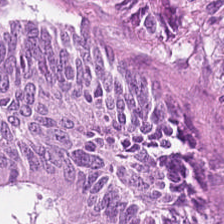Tissue class — adenocarcinoma.
